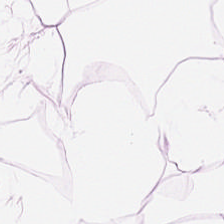H&E-stained tissue section. WSI patch. Histology — adipose.
